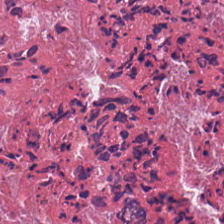FFPE tissue section · hematoxylin and eosin — Tissue class: debris.
